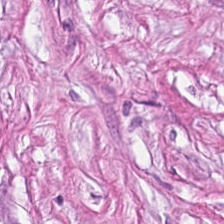Predominant tissue = tumor-associated stroma.
